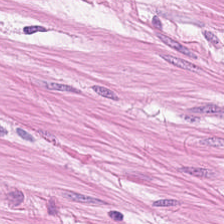H&E stain · formalin-fixed paraffin-embedded section · 20× equivalent magnification.
This patch shows smooth muscle.
